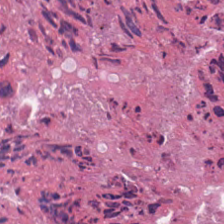Stain: H&E.
Resolution: 0.5 microns per pixel.
Tissue type: cellular debris.
